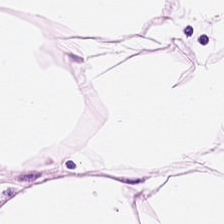{"tissue_type": "fat tissue"}
